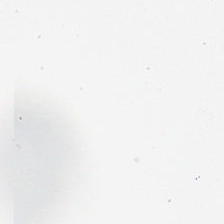H&E-stained tissue section.
{"content": "no tissue"}
